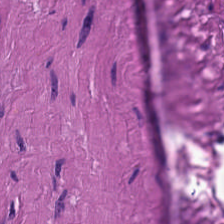Stain: H&E-stained tissue section.
Tissue: muscularis.
